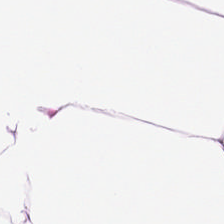Tissue type — adipose.
